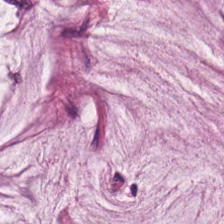FFPE · H&E.
Tissue class: extracellular mucin.
